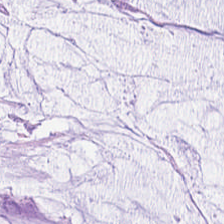224×224 px patch. Hematoxylin-and-eosin stained section. Brightfield microscopy. The predominant tissue is extracellular mucin.
